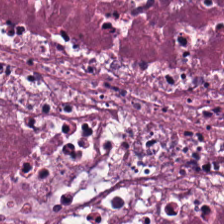Hematoxylin and eosin.
Tissue type = necrotic debris.
